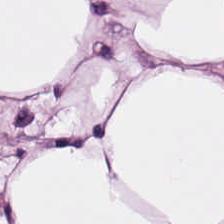0.5 microns per pixel · brightfield · H&E stain.
The tissue is fat tissue.
